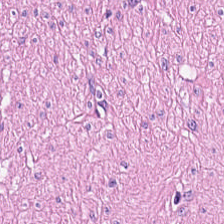Hematoxylin-and-eosin stained section — Tissue = muscularis.
